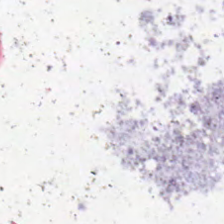H&E stain — No tissue.
